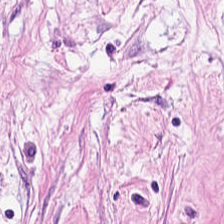Formalin-fixed paraffin-embedded section · hematoxylin-and-eosin stained section · brightfield. Histology — tumor stroma.
